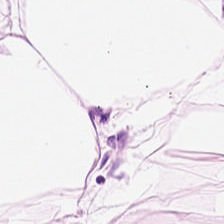H&E-stained tissue section.
Predominantly fat tissue.
